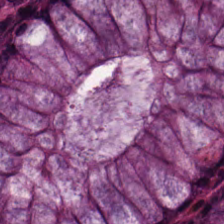Classification = benign colonic mucosa.
